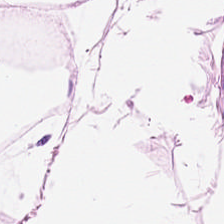H&E-stained tissue section.
This field is adipocytes.
